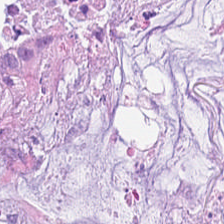The predominant tissue is extracellular mucin.
